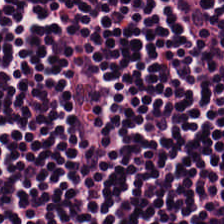H&E stain.
Lymphocytic infiltrate.
